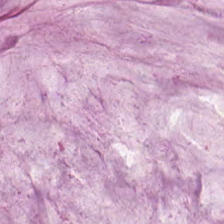Finding — mucus.
